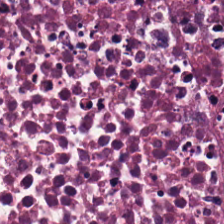Finding — cellular debris.
